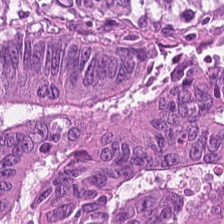FFPE tissue section. 224×224 px patch. H&E stain. Predominantly colorectal adenocarcinoma.
